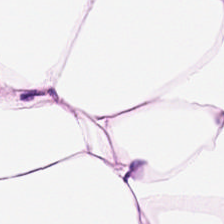Hematoxylin and eosin; 0.5 µm/px — Fat tissue.
